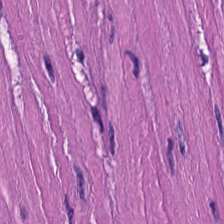0.5 µm/px; H&E. Tissue: muscularis.
